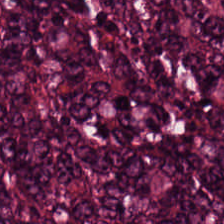{"tissue_type": "tumor epithelium"}
